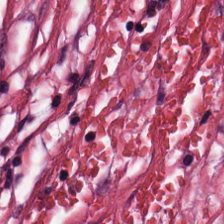Q: What is shown here?
A: It is desmoplastic stroma.
